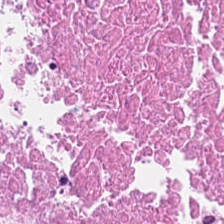H&E-stained tissue section. Impression — debris.
